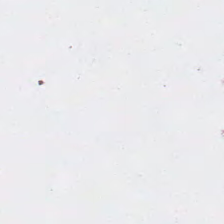H&E stain.
Classification: background.
